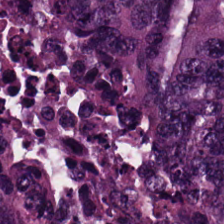Showing colorectal adenocarcinoma epithelium.
